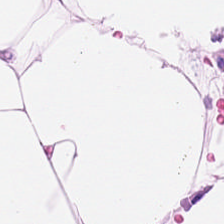Stain: H&E-stained tissue section.
Acquisition: WSI patch.
Tissue: adipocytes.
